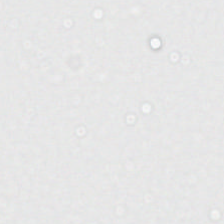Stain: H&E-stained tissue section.
Classification: empty background.
